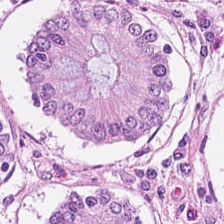Stain: H&E stain.
Tile size: 224×224 px patch.
Tissue class: normal colonic mucosa.
